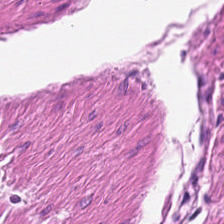H&E.
The predominant tissue is muscularis.
